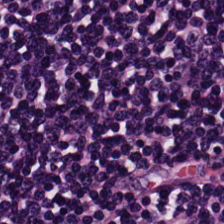{"tissue_type": "lymphocytes"}
